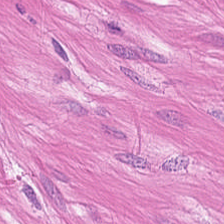H&E stain — Q: What is shown in this field?
A: Smooth-muscle tissue.
